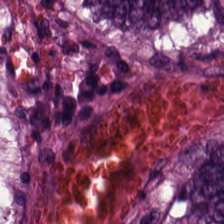Predominantly tumor epithelium.
